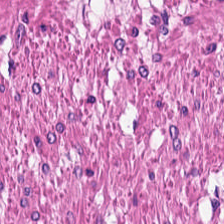H&E stain. 0.5 µm/px. Tissue class = muscularis.
